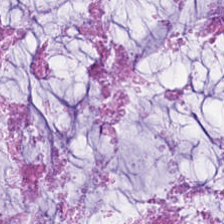H&E · 224×224 px patch · 0.5 µm per pixel.
Histology → extracellular mucin.
